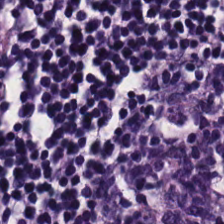FFPE; 224×224 pixel tile; H&E-stained tissue section — Q: Classify this patch.
A: The field shows lymphoid infiltrate.
